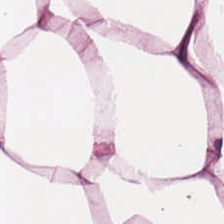Q: Classify this patch.
A: The field shows adipose.
